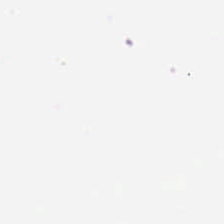Content = background (no tissue).
